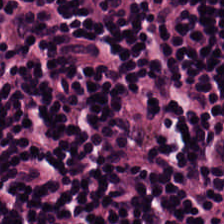H&E stain; 0.5 microns per pixel; 224×224 px tile. Predominant tissue = lymphocyte aggregate.
